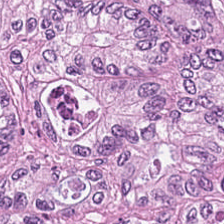The predominant tissue is tumor epithelium.
